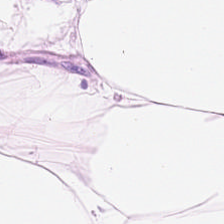H&E stain · 0.5 µm per pixel — This patch shows fat tissue.
